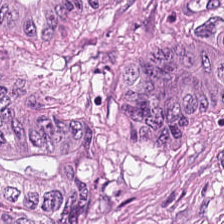H&E; brightfield.
The tissue is tumor epithelium.
